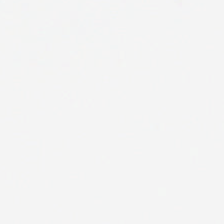H&E-stained tissue section. Finding — background.
